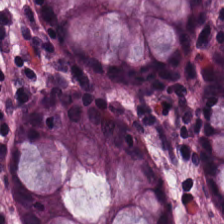H&E.
The predominant tissue is normal colon mucosa.
